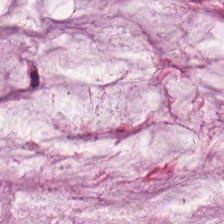The classification is mucin.
